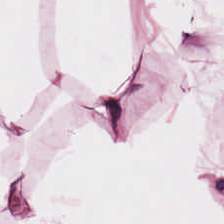H&E. Tissue — adipose.
